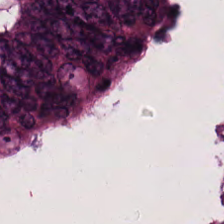This patch shows malignant epithelium.
